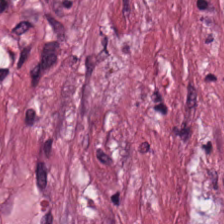Q: What is shown here?
A: Tumor stroma.
